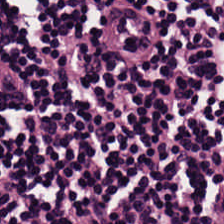H&E. Q: What tissue type is shown here?
A: The field shows lymphocyte aggregate.
